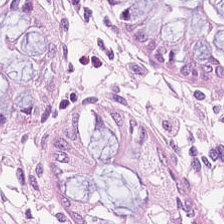H&E. Normal colon mucosa.
